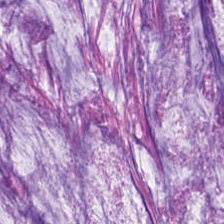224×224 pixel tile · hematoxylin and eosin.
Mucus.
